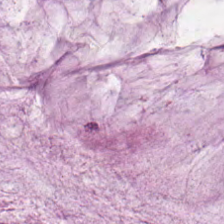This patch shows extracellular mucin.
